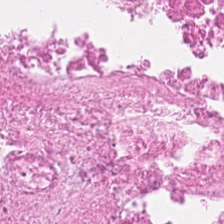Hematoxylin and eosin. 224×224 px patch. The predominant tissue is cellular debris.
